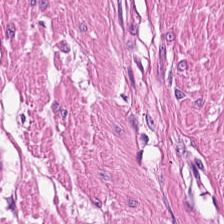This patch shows muscularis.
